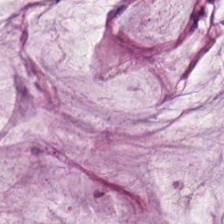0.5 µm per pixel; H&E-stained tissue section; brightfield microscopy. Tissue class = mucus.
